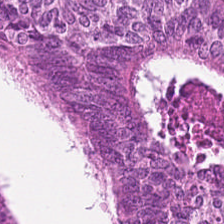Predominant tissue: colorectal adenocarcinoma.
